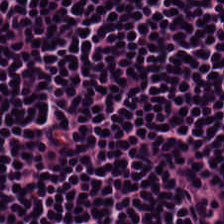H&E.
Q: What does this patch show?
A: The field shows lymphocyte aggregate.
